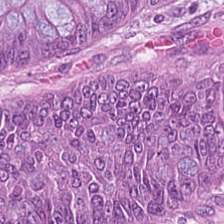Hematoxylin-and-eosin stained section. Histology → adenocarcinoma.
